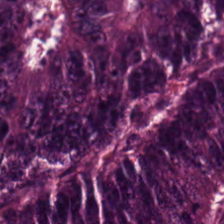Hematoxylin and eosin.
Q: What tissue type is shown here?
A: This is tumor epithelium.
